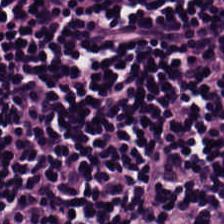H&E-stained tissue section.
Q: What tissue type is shown here?
A: Lymphocytic infiltrate.
